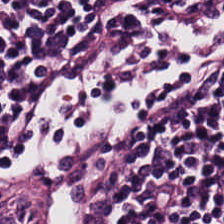224×224 px tile. 0.5 µm per pixel. Hematoxylin and eosin — Classification: lymphocytic infiltrate.
